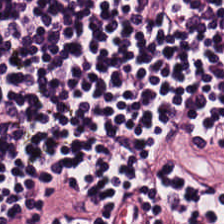Hematoxylin-and-eosin stained section; brightfield microscopy; 0.5 microns per pixel — Q: Classify this patch.
A: Lymphoid infiltrate.
